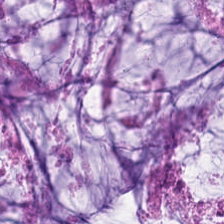Impression → mucin.
